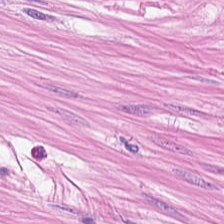Hematoxylin-and-eosin stained section.
The predominant tissue is smooth muscle.
